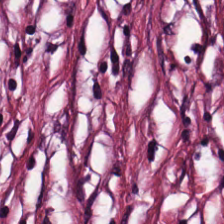Stain: H&E-stained tissue section.
Tissue: cancer-associated stroma.
